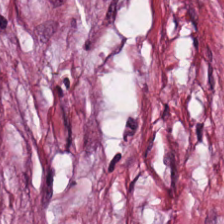Hematoxylin and eosin. Brightfield microscopy — Q: What is shown here?
A: The field shows tumor stroma.
